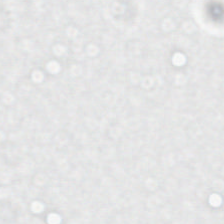H&E-stained tissue section — Q: What is shown in this field?
A: Empty background.
